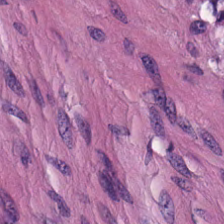Stain: H&E-stained tissue section.
Tissue class: muscularis.
